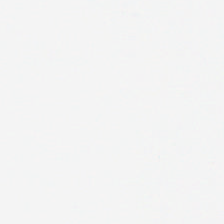H&E-stained tissue section.
This field is background (no tissue).
